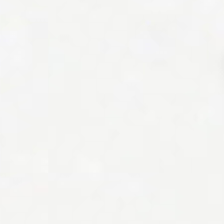H&E. Field content = background.
